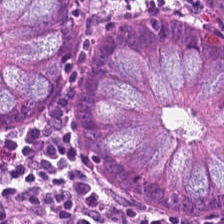H&E stain. FFPE.
The tissue type is non-neoplastic colon mucosa.
